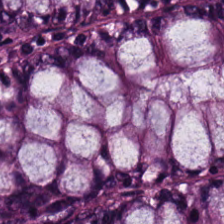H&E-stained tissue section · 224×224 px patch.
Impression → normal colon mucosa.
